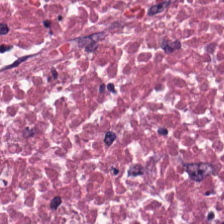H&E.
Tissue = cellular debris.
